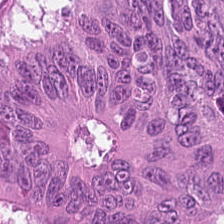H&E; 224×224 px tile. Predominantly adenocarcinoma.
